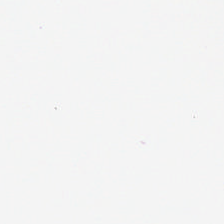H&E.
Q: What is shown here?
A: It is empty background.
